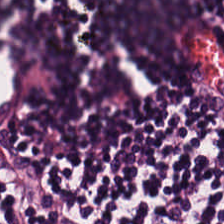224×224 px tile. Hematoxylin and eosin.
Predominant tissue — lymphocytic infiltrate.
